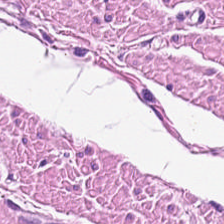H&E stain.
The tissue type is muscularis.
